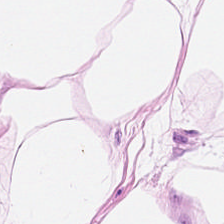Brightfield microscopy · FFPE tissue section · H&E. Classification = adipose tissue.
